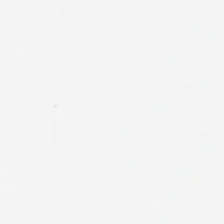H&E-stained tissue section. Empty field — no tissue.
